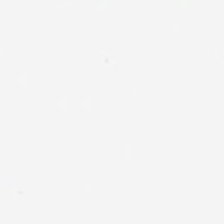H&E. Impression — empty background.
